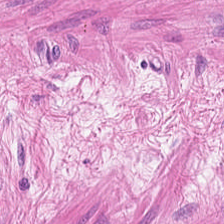Hematoxylin and eosin. Q: What is the predominant tissue type?
A: It is smooth muscle.
